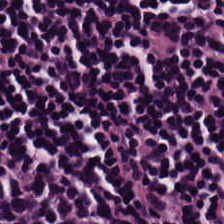Hematoxylin-and-eosin stained section. The tissue class is lymphocyte aggregate.
